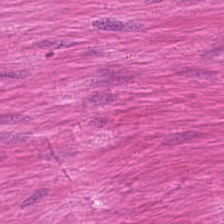H&E — muscularis.
